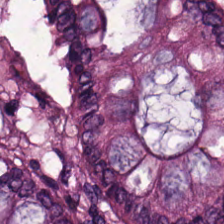Hematoxylin and eosin — Q: What is the predominant tissue type?
A: The field shows normal colon mucosa.
